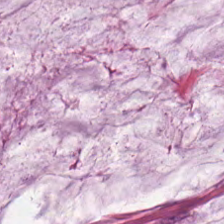H&E-stained tissue section showing mucin.
